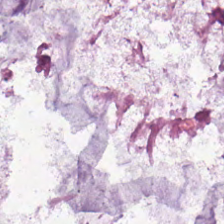H&E-stained tissue section.
Q: What tissue is shown?
A: It is mucin.
